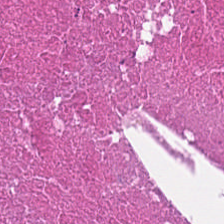224×224 pixel tile; H&E — The tissue is cellular debris.
